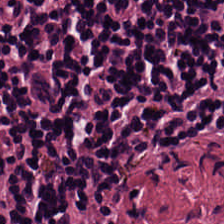Whole-slide-image patch; hematoxylin and eosin — {"tissue_type": "lymphoid infiltrate"}
